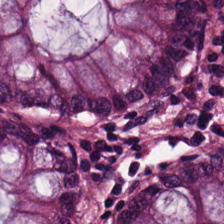The tissue type is normal colon mucosa.
